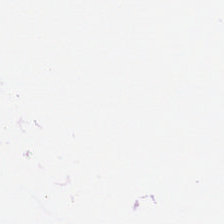H&E-stained tissue section.
No tissue present; background only.
